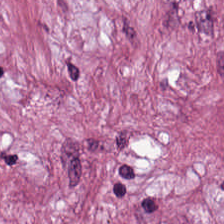H&E · FFPE tissue section.
Q: What tissue is shown?
A: Desmoplastic stroma.
